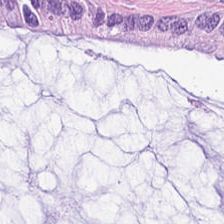0.5 µm per pixel. H&E stain — The classification is mucin.
